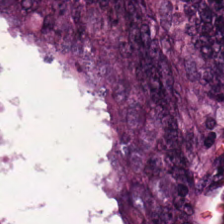Tissue type = colorectal adenocarcinoma epithelium.
